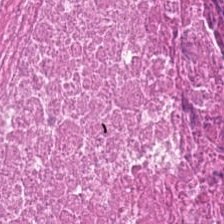H&E — Finding — necrotic debris.
